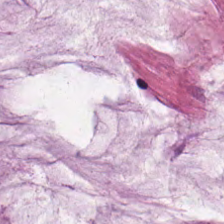WSI patch · 224×224 px patch · hematoxylin-and-eosin stained section — Finding → mucin.
